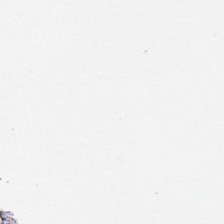Stain: H&E-stained tissue section.
Field content: no tissue.
